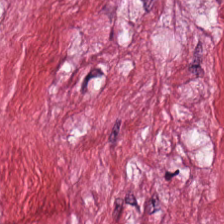0.5 µm per pixel · H&E stain.
This field is tumor stroma.
